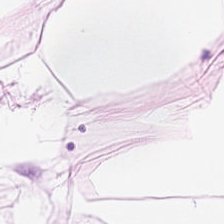20× equivalent magnification. Hematoxylin-and-eosin stained section. Tissue class — adipose tissue.
